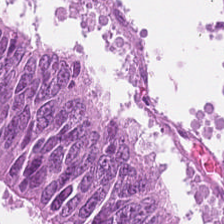Stain: hematoxylin and eosin.
Tissue: adenocarcinoma.
